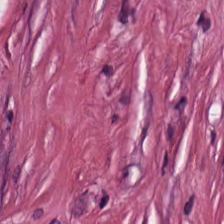Stain: hematoxylin-and-eosin stained section.
Tissue class: cancer-associated stroma.
